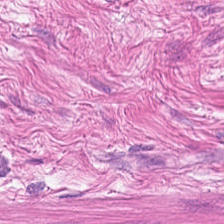0.5 µm per pixel · H&E stain · formalin-fixed paraffin-embedded section.
Tissue: muscularis.
